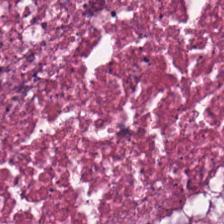Histology → debris.
